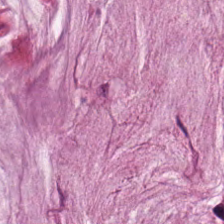Hematoxylin-and-eosin stained section.
Tissue type: mucin.
